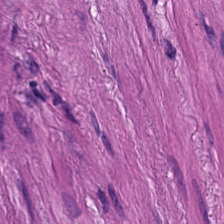Hematoxylin and eosin — The predominant tissue is muscularis.
